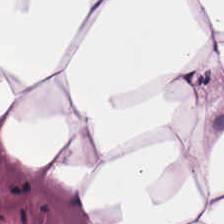0.5 µm per pixel; hematoxylin and eosin — The tissue here is adipocytes.
